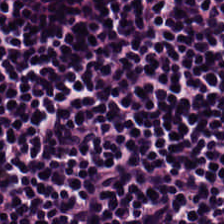H&E stain.
The predominant tissue is lymphocyte aggregate.
